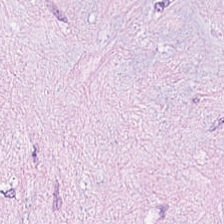Hematoxylin and eosin.
Q: Identify the tissue.
A: This is desmoplastic stroma.
